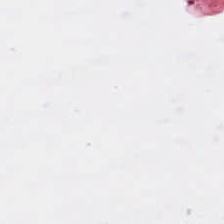Hematoxylin and eosin.
Content: background.
